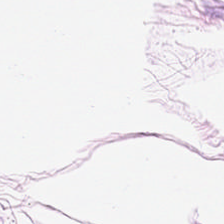H&E stain — Adipocytes.
